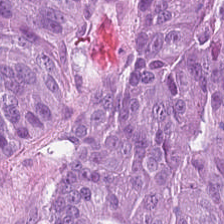The predominant tissue is tumor epithelium.
